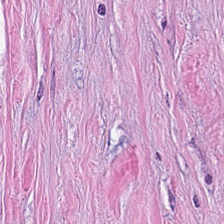Tissue — tumor-associated stroma.
